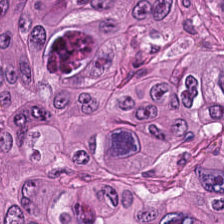Q: Classify this patch.
A: It is colorectal adenocarcinoma epithelium.
